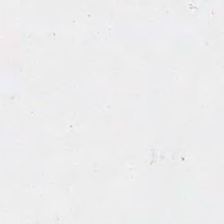0.5 microns per pixel. Hematoxylin-and-eosin stained section — Q: What is shown here?
A: It is background (no tissue).
